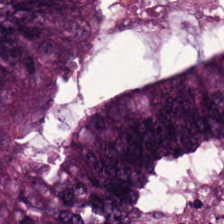The tissue is colorectal adenocarcinoma.
